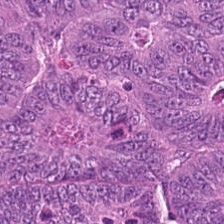Stain: H&E stain.
Preparation: formalin-fixed paraffin-embedded section.
Classification: tumor epithelium.
